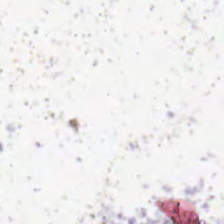Hematoxylin-and-eosin stained section. Content — background.
